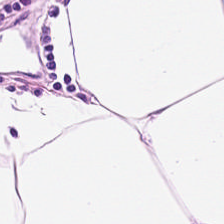Hematoxylin-and-eosin stained section.
{"tissue_type": "adipose"}
